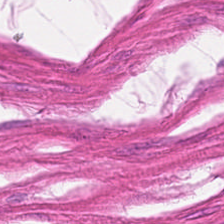H&E. Histology — smooth muscle.
